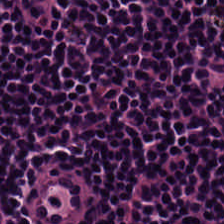H&E-stained tissue section · 224×224 px patch · 0.5 µm per pixel. The predominant tissue is lymphocytic infiltrate.
